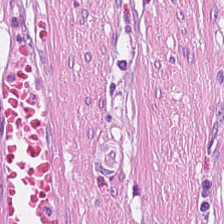0.5 µm/px. Hematoxylin and eosin — Q: What tissue type is shown here?
A: It is cancer-associated stroma.
